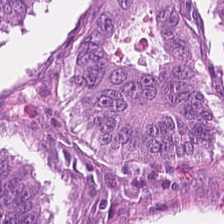Formalin-fixed paraffin-embedded section · H&E. {"tissue_type": "malignant epithelium"}
